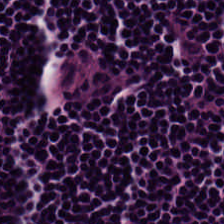Stain: H&E.
Predominant tissue: lymphocytes.
